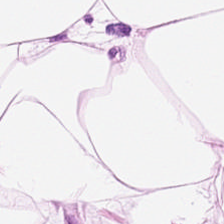Q: What type of tissue is this?
A: Adipose.
